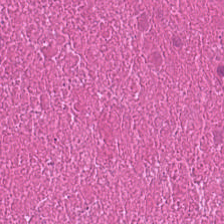Whole-slide-image patch · H&E-stained tissue section · 0.5 µm/px. Predominant tissue: cellular debris.
